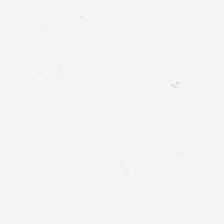H&E.
This field is background (no tissue).
